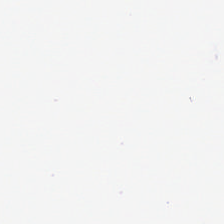Field content — empty background.
